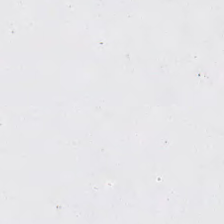0.5 µm per pixel. 224×224 px patch. Hematoxylin-and-eosin stained section — Empty field — background (no tissue).
